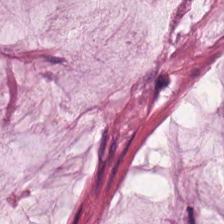H&E stain · 0.5 µm/px · brightfield microscopy.
Q: What is shown here?
A: Extracellular mucin.
